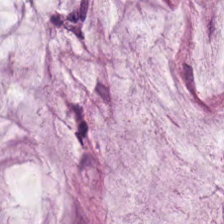Classification = extracellular mucin.
